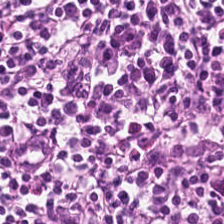Impression — lymphocytic infiltrate.
